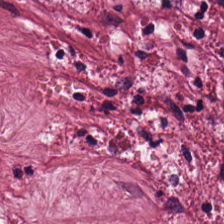H&E — cancer-associated stroma.
